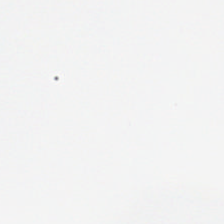Hematoxylin and eosin. This field is background (no tissue).
